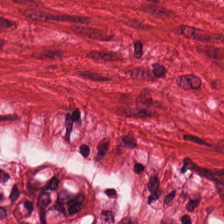H&E stain; FFPE.
Showing smooth muscle.
